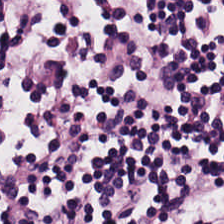Hematoxylin and eosin — Tissue class — lymphocyte aggregate.
